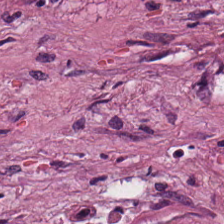Formalin-fixed paraffin-embedded section; 0.5 microns per pixel; hematoxylin and eosin — This patch shows desmoplastic stroma.
